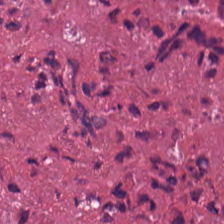H&E-stained tissue section · 0.5 microns per pixel. Q: Identify the tissue.
A: This is necrotic debris.
